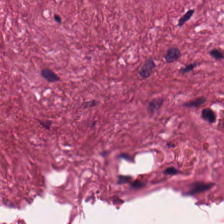Tissue type = cancer-associated stroma.
